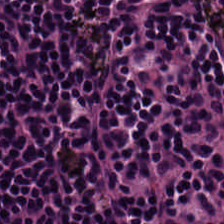H&E; 0.5 µm/px — Showing lymphocytic infiltrate.
